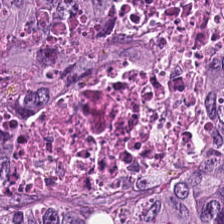Stain: H&E-stained tissue section.
Resolution: 0.5 microns per pixel.
Tissue: colorectal adenocarcinoma epithelium.
